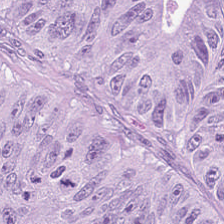Hematoxylin and eosin.
Predominantly malignant epithelium.
